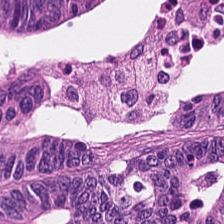0.5 µm/px; 224×224 px patch; hematoxylin and eosin — Tissue type — malignant epithelium.
